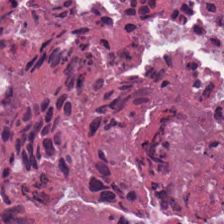Classification = necrotic debris.
